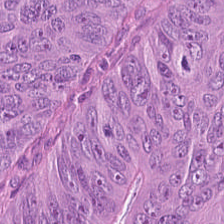Stain: H&E stain.
Tile size: 224×224 px patch.
Classification: malignant epithelium.
